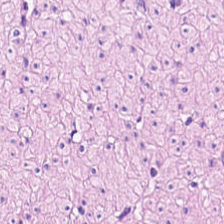Stain: hematoxylin and eosin.
Tissue: smooth-muscle tissue.
